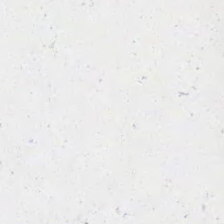This field is background (no tissue).
